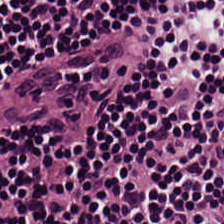0.5 µm per pixel · FFPE · H&E — Histology — lymphocytic infiltrate.
